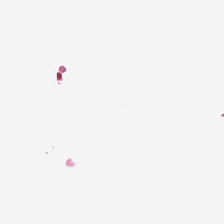H&E · brightfield microscopy — Content = background.
